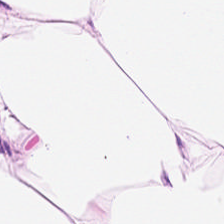H&E stain · 0.5 µm/px · brightfield. Predominantly adipose.
